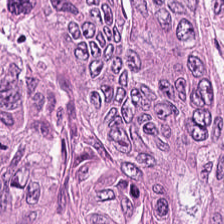Stain: H&E-stained tissue section.
Tissue: colorectal adenocarcinoma.
